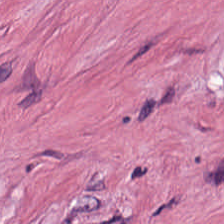Hematoxylin-and-eosin stained section. Tumor-associated stroma.
